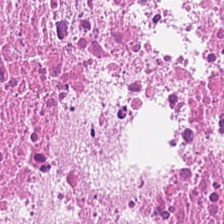Histology → necrotic debris.
